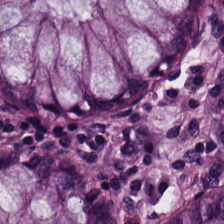Brightfield; hematoxylin and eosin — The predominant tissue is benign colonic mucosa.
